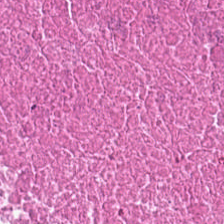H&E stain. Necrotic debris.
